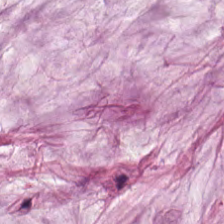H&E stain · FFPE tissue section.
Finding — extracellular mucin.
